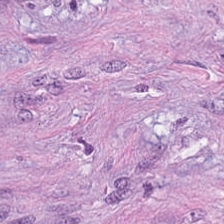H&E.
Q: What is the predominant tissue type?
A: It is tumor stroma.
